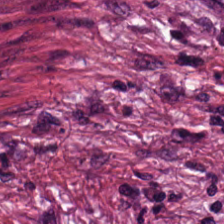The tissue is cancer-associated stroma.
